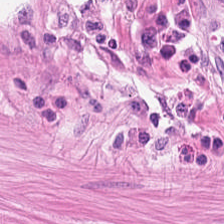The predominant tissue is smooth muscle.
